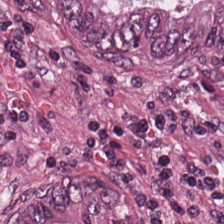H&E stain — The predominant tissue is colorectal adenocarcinoma.
